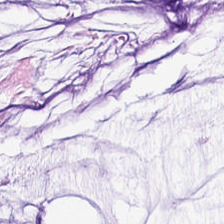Stain: H&E-stained tissue section.
Predominant tissue: extracellular mucin.
